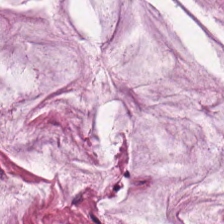Stain: hematoxylin-and-eosin stained section.
Acquisition: WSI patch.
Tile size: 224×224 pixel tile.
Predominant tissue: mucin.
